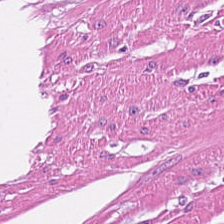Formalin-fixed paraffin-embedded section; hematoxylin-and-eosin stained section — This field is smooth-muscle tissue.
